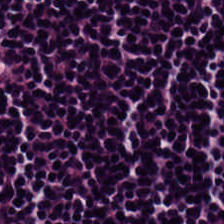H&E-stained tissue section. Lymphoid infiltrate.
